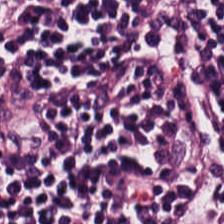Hematoxylin-and-eosin stained section — The tissue is lymphoid infiltrate.
